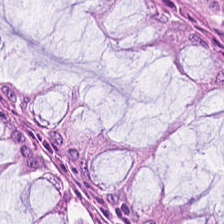Hematoxylin-and-eosin stained section — The tissue type is benign colonic mucosa.
